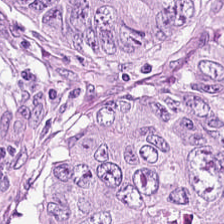FFPE. H&E-stained tissue section — Predominantly malignant epithelium.
